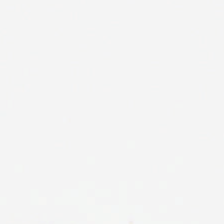H&E stain — This field is background (no tissue).
